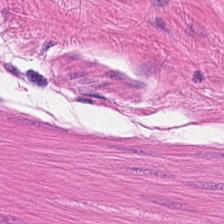H&E-stained tissue section.
Q: What is shown in this field?
A: Muscularis.
